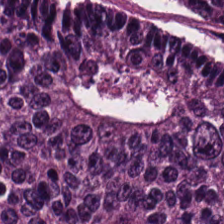20× equivalent magnification. Hematoxylin-and-eosin stained section. WSI patch.
{"tissue_type": "colorectal adenocarcinoma"}
